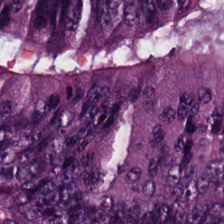Hematoxylin and eosin. Finding — adenocarcinoma.
